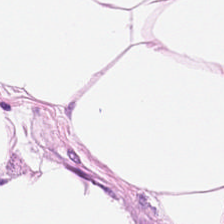H&E. 224×224 pixel tile — Showing adipose.
